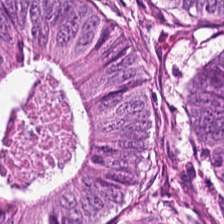H&E-stained section; the field shows malignant epithelium.
